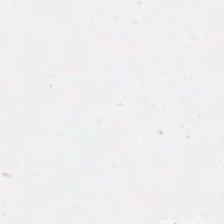FFPE; H&E. No tissue.
